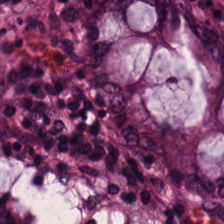H&E. Formalin-fixed paraffin-embedded section. Q: Classify this patch.
A: It is non-neoplastic colon mucosa.
